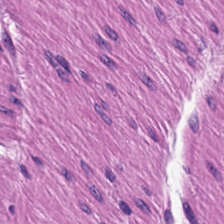H&E-stained tissue section — Showing smooth muscle.
